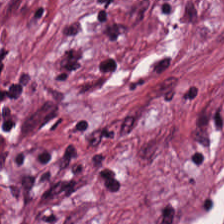Stain: H&E stain.
Tile size: 224×224 pixel tile.
Tissue: desmoplastic stroma.
